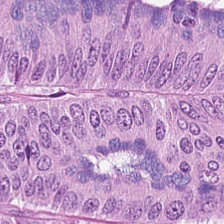FFPE tissue section · brightfield · hematoxylin and eosin. Showing adenocarcinoma.
